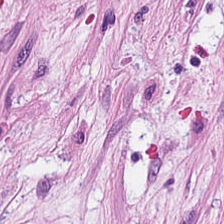Hematoxylin and eosin. The tissue type is tumor-associated stroma.
